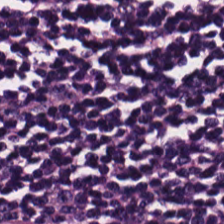Brightfield; H&E stain.
Showing lymphocytic infiltrate.
